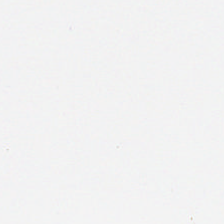224×224 px tile · hematoxylin-and-eosin stained section.
This field is background (no tissue).
